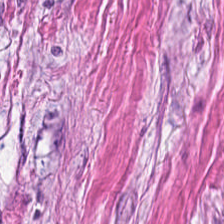Whole-slide-image patch · H&E — This patch shows tumor-associated stroma.
